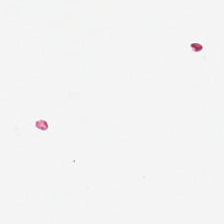Whole-slide-image patch · hematoxylin and eosin.
{"content": "background (no tissue)"}
